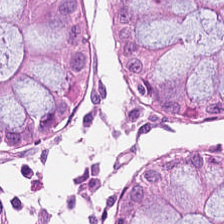H&E stain. 20× equivalent magnification. Formalin-fixed paraffin-embedded section.
Q: What tissue type is shown here?
A: It is benign colonic mucosa.
